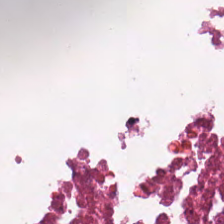H&E; 0.5 microns per pixel. Classification — debris.
